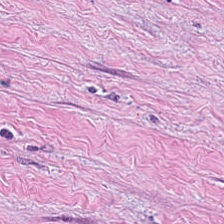Whole-slide-image patch · H&E-stained tissue section. The tissue here is tumor stroma.
